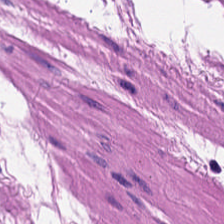Brightfield microscopy. Hematoxylin-and-eosin stained section — {"tissue_type": "smooth muscle"}
